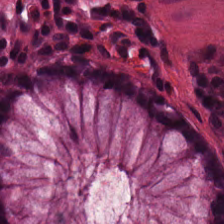The predominant tissue is benign colonic mucosa.
